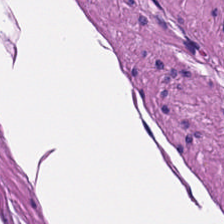Tissue class: smooth muscle.
